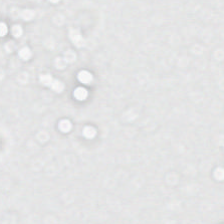Whole-slide-image patch · hematoxylin and eosin — This field is background (no tissue).
